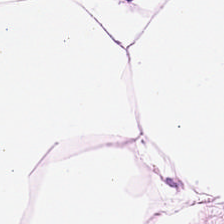Stain: hematoxylin and eosin.
Tissue: fat tissue.
